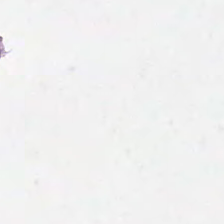H&E stain — No tissue present; background only.
